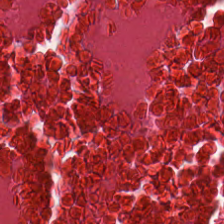Histology → necrotic debris.
